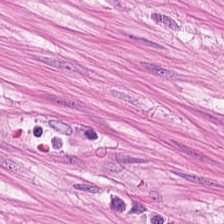Stain: H&E-stained tissue section.
Resolution: 20× equivalent magnification.
Tissue class: smooth muscle.
